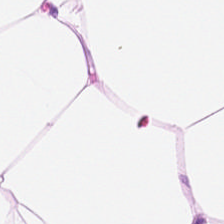H&E. FFPE tissue section.
Showing fat tissue.
